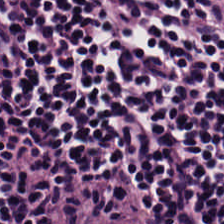H&E stain — Q: Classify this patch.
A: The field shows lymphocytes.
